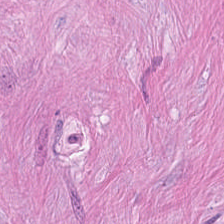Tissue — cancer-associated stroma.
